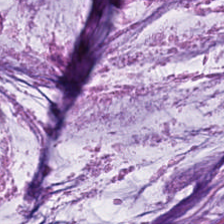0.5 microns per pixel · 224×224 px patch · H&E.
The tissue is extracellular mucin.
